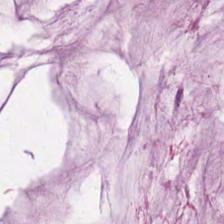Impression → mucus.
